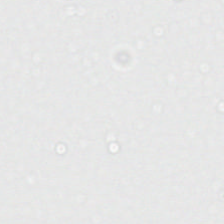H&E stain — Empty field — background.
